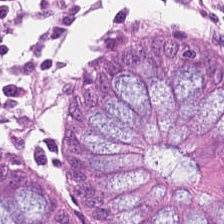Stain: H&E stain.
Tile size: 224×224 pixel tile.
Tissue class: non-neoplastic colon mucosa.
